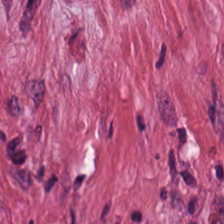Desmoplastic stroma.
